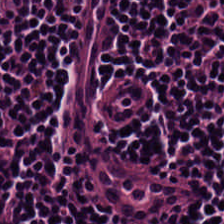Stain: hematoxylin and eosin.
Classification: lymphoid infiltrate.
